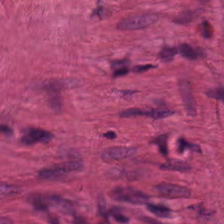Q: What does this patch show?
A: This is smooth muscle.
